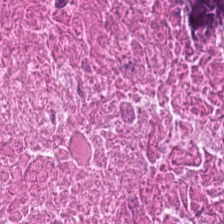Tissue: cellular debris.
